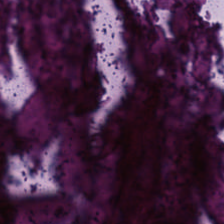Tissue — cellular debris.
